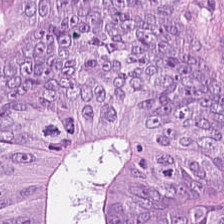Classification — adenocarcinoma.
